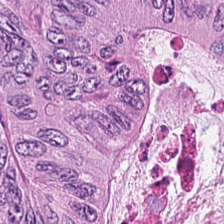224×224 px tile. H&E stain.
Showing colorectal adenocarcinoma.
